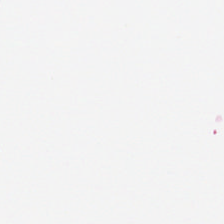H&E stain — Content — background (no tissue).
